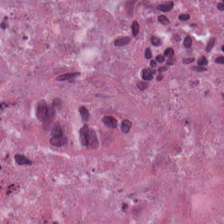0.5 microns per pixel; H&E; formalin-fixed paraffin-embedded section.
Predominantly cellular debris.
